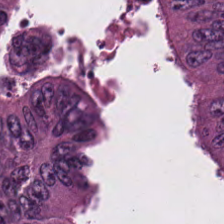H&E stain — Histology → adenocarcinoma.
